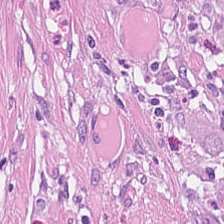H&E — Q: What tissue type is shown here?
A: This is tumor stroma.
